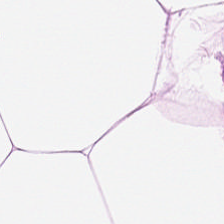Showing adipocytes.
